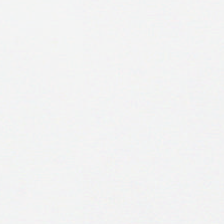Hematoxylin and eosin — {"content": "empty background"}
